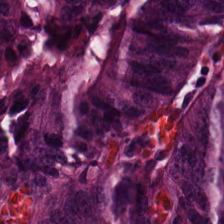Stain: hematoxylin and eosin.
Resolution: 0.5 microns per pixel.
Acquisition: brightfield.
Tissue class: colorectal adenocarcinoma epithelium.
